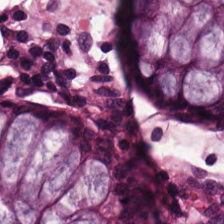H&E · brightfield · formalin-fixed paraffin-embedded section — Non-neoplastic colon mucosa.
